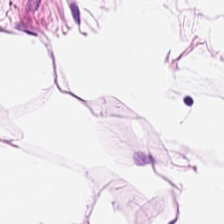This field is adipocytes.
